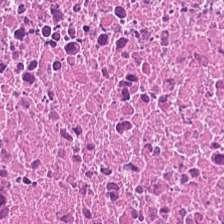Hematoxylin-and-eosin section: necrotic debris.
